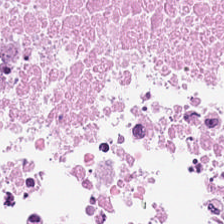H&E. Showing debris.
